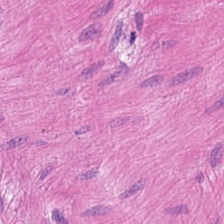Hematoxylin-and-eosin stained section — Histology → muscularis.
